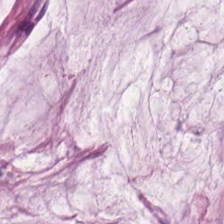Classification = extracellular mucin.
